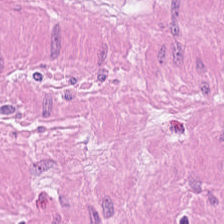Stain: H&E-stained tissue section.
Classification: muscularis.
